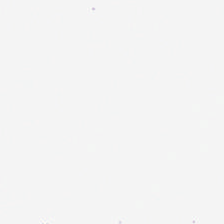No tissue present; background only.
